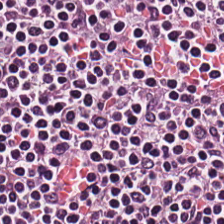H&E stain — Q: What tissue type is shown here?
A: It is lymphocytic infiltrate.
